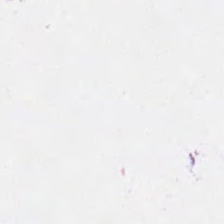H&E. {"content": "no tissue"}
